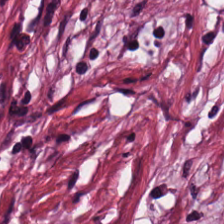H&E-stained tissue section. Q: Classify this patch.
A: This is tumor stroma.
